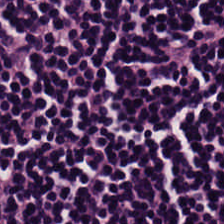FFPE · H&E stain. This patch shows lymphocytic infiltrate.
